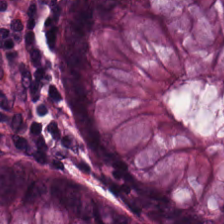Q: What tissue is shown?
A: Normal colonic mucosa.
